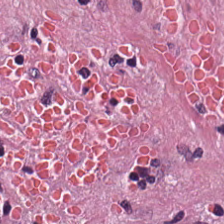Stain: H&E stain.
Predominant tissue: tumor stroma.
